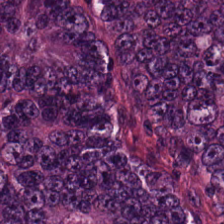224×224 px tile; H&E stain.
Showing colorectal adenocarcinoma.
